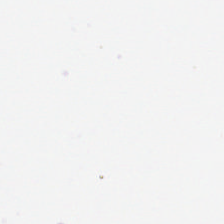224×224 px patch · 20× equivalent magnification · hematoxylin and eosin — No tissue present; background only.
